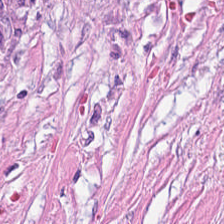Hematoxylin-and-eosin stained section. The predominant tissue is cancer-associated stroma.
